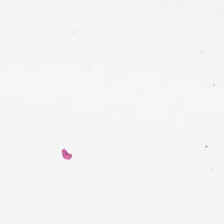Hematoxylin-and-eosin stained section · 224×224 pixel tile.
Histology — background (no tissue).
